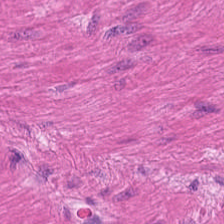Showing smooth-muscle tissue.
